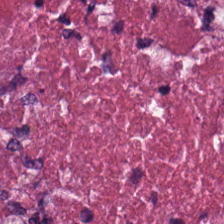Hematoxylin and eosin — Predominant tissue: necrotic debris.
